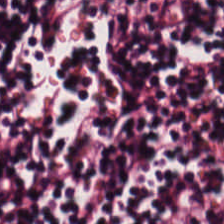Brightfield microscopy; H&E-stained tissue section; FFPE tissue section.
Predominant tissue — lymphocytes.
